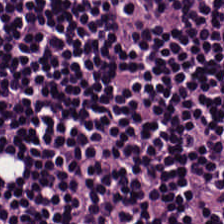224×224 px tile; hematoxylin and eosin — The tissue here is lymphocytic infiltrate.
